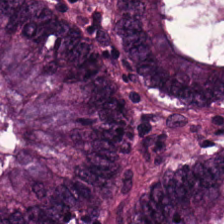Stain: H&E.
Preparation: formalin-fixed paraffin-embedded section.
Classification: tumor epithelium.
